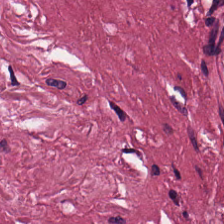224×224 px patch; 0.5 µm/px; H&E — This field is tumor-associated stroma.
